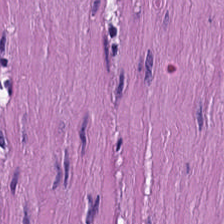H&E patch showing smooth-muscle tissue.
